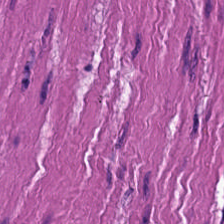Brightfield microscopy; 0.5 µm/px; hematoxylin-and-eosin stained section — Q: What does this patch show?
A: The field shows muscularis.
